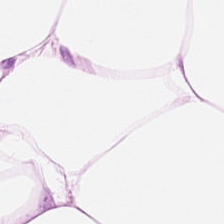H&E; 0.5 µm per pixel; WSI patch.
The classification is adipocytes.
